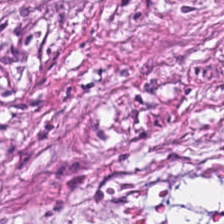H&E-stained tissue section.
This field is tumor-associated stroma.
